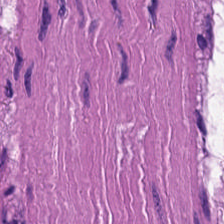Hematoxylin-and-eosin stained section. Q: What is shown here?
A: This is smooth-muscle tissue.
